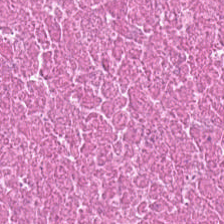H&E stain — This field is cellular debris.
